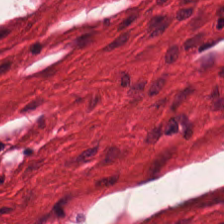Brightfield microscopy; 0.5 µm per pixel; hematoxylin-and-eosin stained section — Predominantly smooth-muscle tissue.
